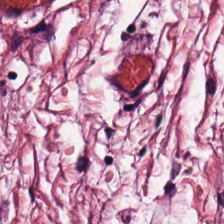Hematoxylin and eosin — This patch shows tumor-associated stroma.
